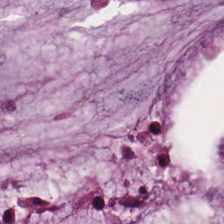H&E stain — Mucin.
